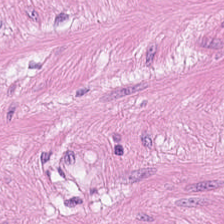Hematoxylin-and-eosin stained section · 224×224 pixel tile.
This patch shows smooth-muscle tissue.
